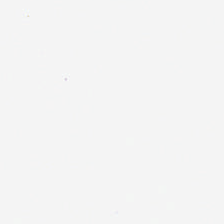The classification is background.
